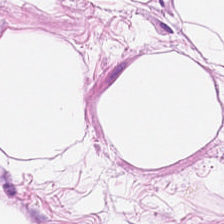H&E stain.
Predominant tissue = fat tissue.
